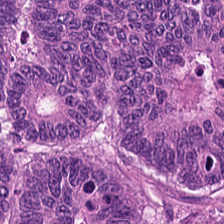Q: What tissue type is shown here?
A: This is colorectal adenocarcinoma.
